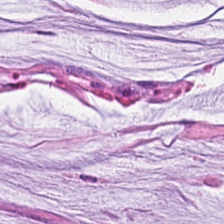224×224 pixel tile · H&E stain · FFPE tissue section. Impression → extracellular mucin.
